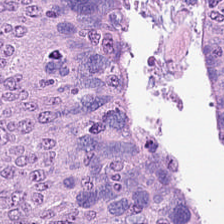H&E stain. 224×224 px tile — The predominant tissue is malignant epithelium.
